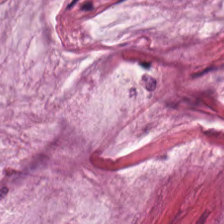Hematoxylin-and-eosin stained section; 0.5 µm/px; FFPE tissue section — The predominant tissue is extracellular mucin.
